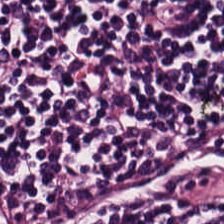Formalin-fixed paraffin-embedded section. Hematoxylin and eosin. 224×224 px tile. The tissue here is lymphocytic infiltrate.
